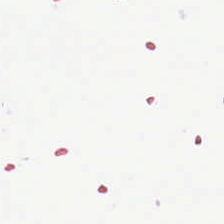H&E-stained tissue section.
The field content is background.
